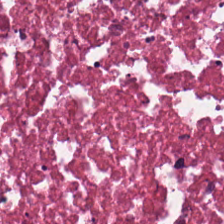Hematoxylin-and-eosin stained section. Tissue type = cellular debris.
